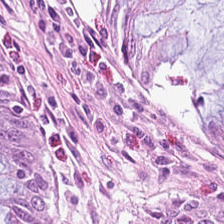Brightfield microscopy. 0.5 microns per pixel. H&E.
Showing benign colonic mucosa.
